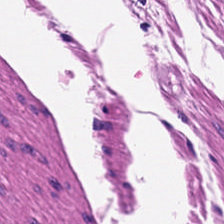{"tissue_type": "smooth-muscle tissue"}
